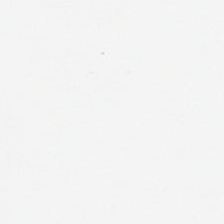Stain: H&E stain.
Classification: empty background.
